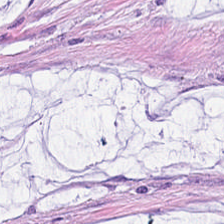H&E stain.
Classification: extracellular mucin.
